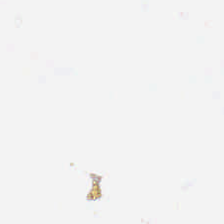Brightfield microscopy; 224×224 px tile; hematoxylin-and-eosin stained section.
Background — no tissue in this field.
